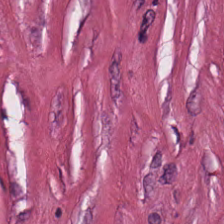Stain: H&E stain.
Tissue type: desmoplastic stroma.
